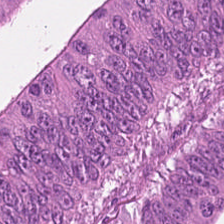Hematoxylin-and-eosin stained section. FFPE. Whole-slide-image patch. Q: What tissue type is shown here?
A: The field shows tumor epithelium.
